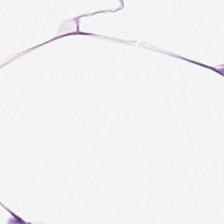Stain: H&E stain.
Tissue type: adipose.
